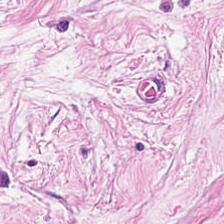FFPE tissue section · hematoxylin and eosin — The tissue here is tumor stroma.
